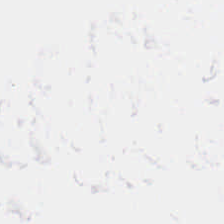H&E stain · 0.5 µm per pixel. Background — no tissue in this field.
